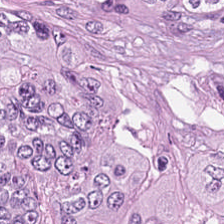H&E — Q: What tissue is shown?
A: The field shows colorectal adenocarcinoma epithelium.
